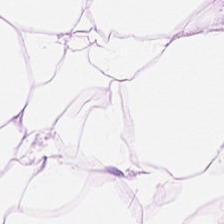Hematoxylin-and-eosin stained section.
The tissue class is adipose tissue.
